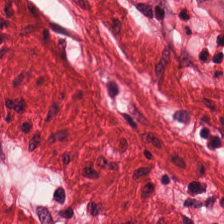H&E-stained section; the field shows smooth-muscle tissue.
